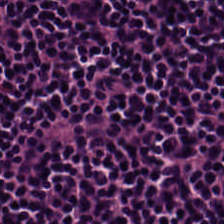H&E-stained tissue section. Lymphocyte aggregate.
